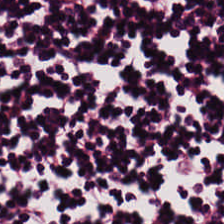H&E stain. Tissue type — lymphocytic infiltrate.
